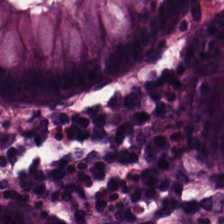This patch shows non-neoplastic colon mucosa.
